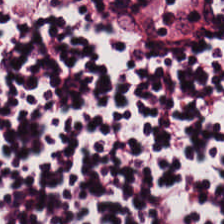Tissue type = lymphocyte aggregate.
